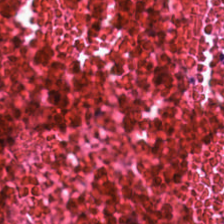H&E-stained tissue section — Debris.
